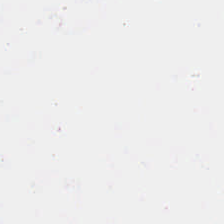Classification = background.
